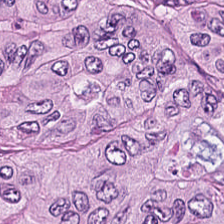Stain: H&E-stained tissue section.
Tissue class: colorectal adenocarcinoma epithelium.
